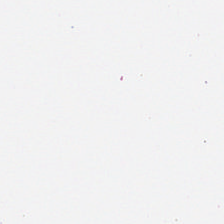Hematoxylin and eosin. Empty field — background (no tissue).
